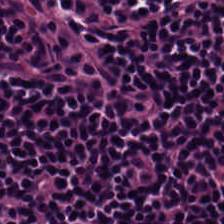Hematoxylin-and-eosin stained section.
Lymphocytic infiltrate.
